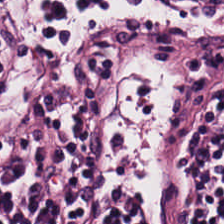Stain: H&E-stained tissue section.
Tissue class: lymphocytic infiltrate.
